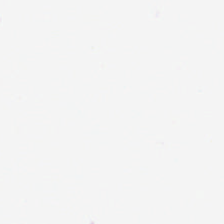Brightfield; H&E-stained tissue section; FFPE tissue section.
Q: What does this patch show?
A: This is no tissue.
